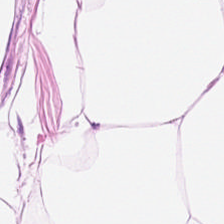Brightfield · hematoxylin and eosin.
Q: Identify the tissue.
A: The field shows fat tissue.
